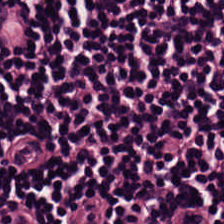H&E.
Showing lymphocytic infiltrate.
